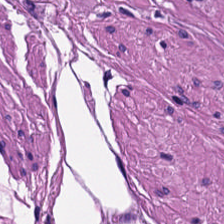Hematoxylin and eosin. 224×224 pixel tile. FFPE.
The classification is smooth-muscle tissue.
